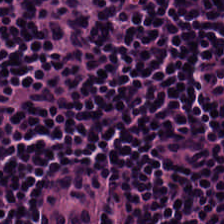H&E-stained tissue section. Showing lymphocytic infiltrate.
